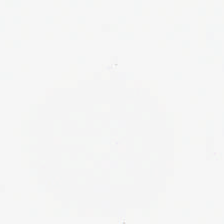H&E stain — This field is background (no tissue).
